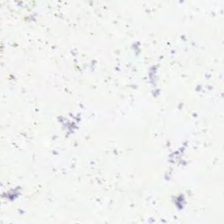H&E · 224×224 px tile · brightfield microscopy.
No tissue present; background only.
